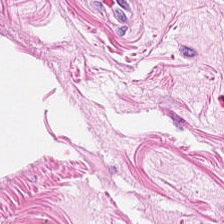Formalin-fixed paraffin-embedded section. Hematoxylin and eosin.
Muscularis.
